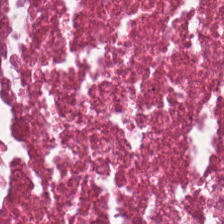H&E-stained tissue section. Finding → necrotic debris.
